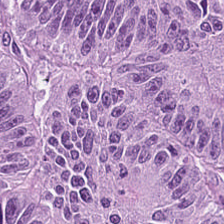Hematoxylin and eosin. Formalin-fixed paraffin-embedded section. Tissue: tumor epithelium.
